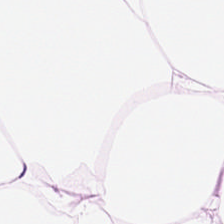0.5 microns per pixel · H&E stain — Predominantly fat tissue.
